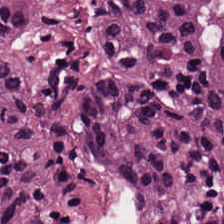Q: Classify this patch.
A: This is malignant epithelium.
